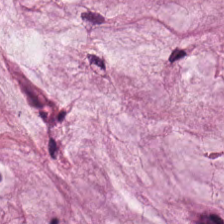Stain: hematoxylin-and-eosin stained section.
Tissue type: extracellular mucin.
